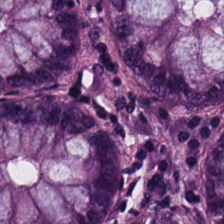Hematoxylin-and-eosin stained section — The predominant tissue is normal colonic mucosa.
